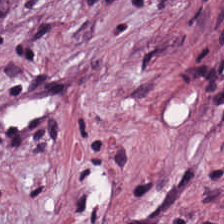Formalin-fixed paraffin-embedded section. Hematoxylin and eosin. This field is desmoplastic stroma.
